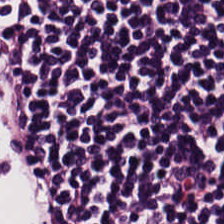H&E. Formalin-fixed paraffin-embedded section — Tissue type — lymphoid infiltrate.
